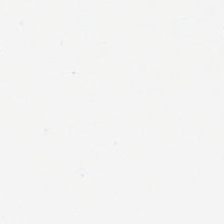224×224 px patch; 20× equivalent magnification; H&E stain — Finding → empty background.
